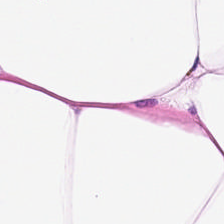FFPE tissue section; hematoxylin-and-eosin stained section — Q: What is shown here?
A: The field shows adipocytes.
